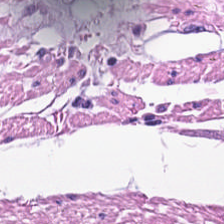H&E stain. Q: What does this patch show?
A: This is muscularis.
